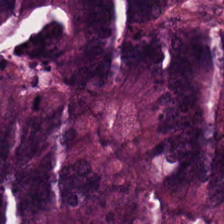H&E-stained tissue section — Showing adenocarcinoma.
